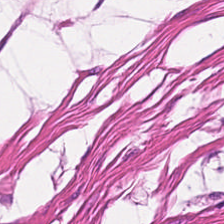H&E. Smooth muscle.
